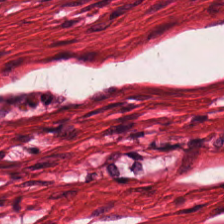H&E-stained tissue section. Impression → smooth muscle.
